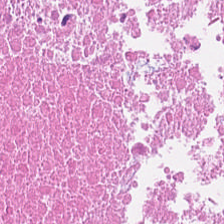Tissue type: necrotic debris.
